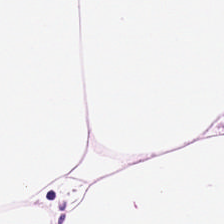Whole-slide-image patch. Hematoxylin and eosin — Q: Classify this patch.
A: This is fat tissue.
